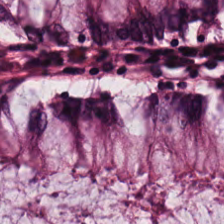H&E stain.
This patch shows non-neoplastic colon mucosa.
